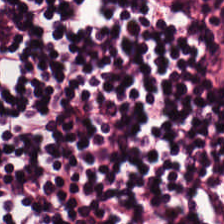Lymphocytes.
